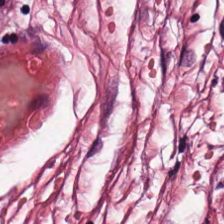H&E-stained tissue section.
The predominant tissue is cancer-associated stroma.
